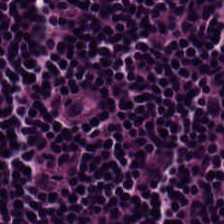Hematoxylin-and-eosin stained section; 0.5 µm per pixel. Finding → lymphocytic infiltrate.
